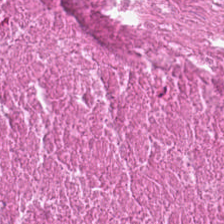Hematoxylin-and-eosin stained section.
This field is debris.
